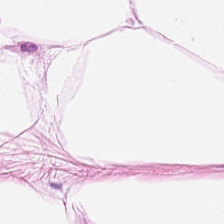H&E stain — Q: Identify the tissue.
A: The field shows adipocytes.
